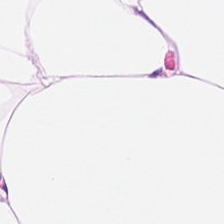Brightfield microscopy · 0.5 microns per pixel · H&E.
Showing adipose.
